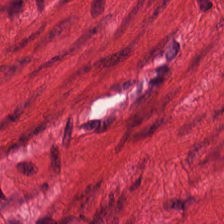H&E stain; 224×224 px patch.
Impression — muscularis.
